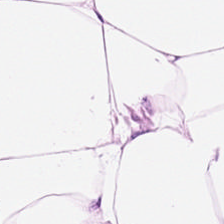Brightfield; hematoxylin and eosin; FFPE tissue section. This patch shows adipose tissue.
